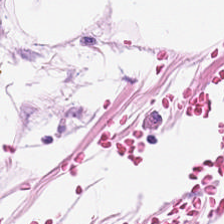H&E stain.
The tissue is adipose.
